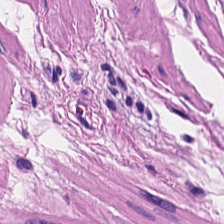The predominant tissue is muscularis.
